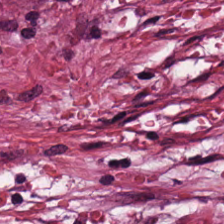Q: What is shown here?
A: Tumor stroma.
